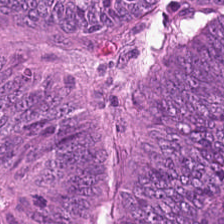The predominant tissue is tumor epithelium.
